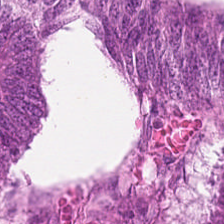224×224 pixel tile. Whole-slide-image patch. Hematoxylin and eosin — Showing colorectal adenocarcinoma epithelium.
